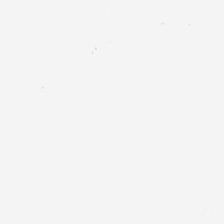Hematoxylin and eosin. Empty background.
